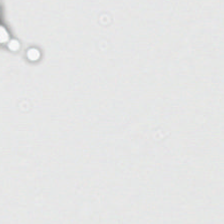This field is background (no tissue).
